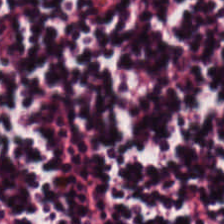Hematoxylin and eosin. 224×224 px tile — This patch shows lymphocytes.
